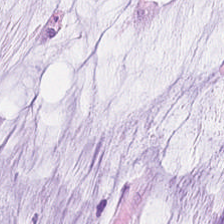FFPE tissue section · H&E-stained tissue section. Q: What is the predominant tissue type?
A: Mucus.
